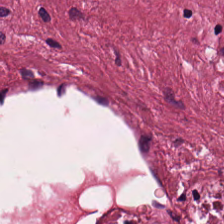Brightfield microscopy; H&E-stained tissue section.
Q: What is the predominant tissue type?
A: The field shows tumor stroma.
